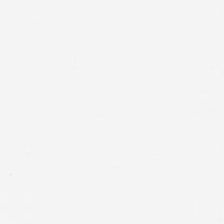Hematoxylin and eosin. {"content": "no tissue"}
